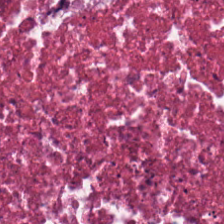Stain: H&E stain.
Tile size: 224×224 pixel tile.
Predominant tissue: debris.
